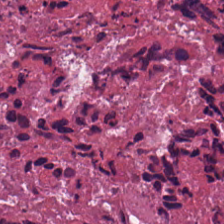224×224 pixel tile · H&E stain · FFPE tissue section — The tissue here is necrotic debris.
